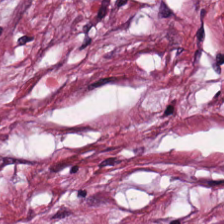20× equivalent magnification; hematoxylin and eosin; whole-slide-image patch. Predominant tissue: desmoplastic stroma.
